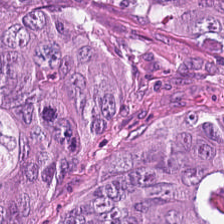Predominant tissue — malignant epithelium.
